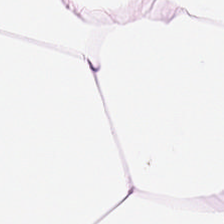224×224 px tile · hematoxylin-and-eosin stained section. The predominant tissue is adipocytes.
